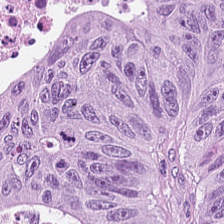H&E-stained tissue section. The predominant tissue is adenocarcinoma.
